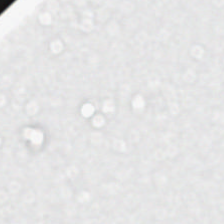The classification is empty background.
